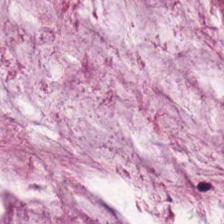Tissue class = mucin.
